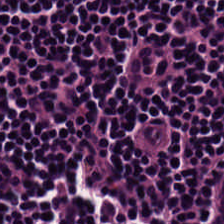H&E stain. 0.5 µm per pixel.
Q: What tissue type is shown here?
A: Lymphocyte aggregate.
